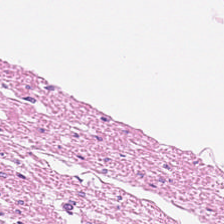0.5 µm per pixel. H&E stain. Whole-slide-image patch — Predominant tissue: smooth-muscle tissue.
